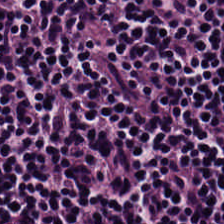H&E-stained tissue section · brightfield microscopy · FFPE — Histology → lymphoid infiltrate.
